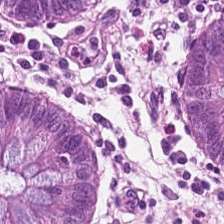Hematoxylin-and-eosin stained section. Q: Identify the tissue.
A: The field shows benign colonic mucosa.
